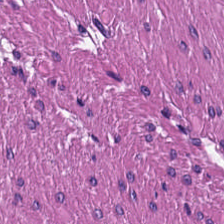Hematoxylin-and-eosin stained section — The predominant tissue is smooth muscle.
